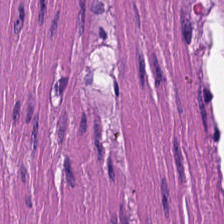Stain: H&E-stained tissue section.
Predominant tissue: muscularis.
